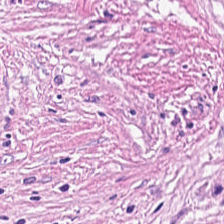0.5 µm per pixel. H&E. Q: Classify this patch.
A: It is cancer-associated stroma.
